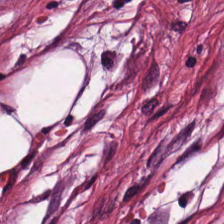H&E-stained tissue section. Tissue: cancer-associated stroma.
